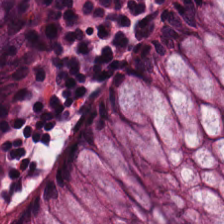H&E-stained tissue section.
The tissue here is normal colon mucosa.
